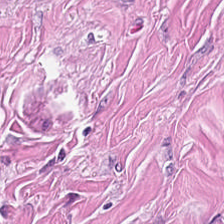224×224 px patch · H&E. Histology — desmoplastic stroma.
